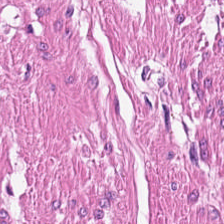Hematoxylin and eosin. Q: What does this patch show?
A: Smooth-muscle tissue.
